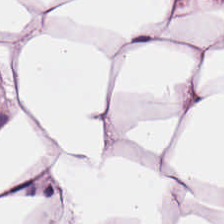Impression — fat tissue.
